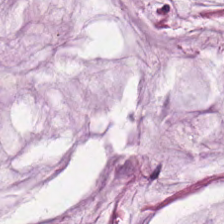H&E.
The predominant tissue is mucus.
